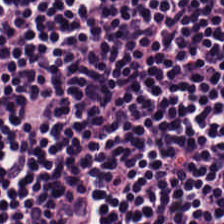Hematoxylin-and-eosin stained section. This patch shows lymphocyte aggregate.
